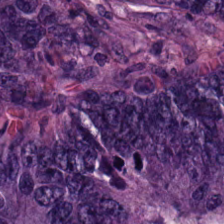Hematoxylin-and-eosin stained section · 224×224 pixel tile.
The tissue class is malignant epithelium.
